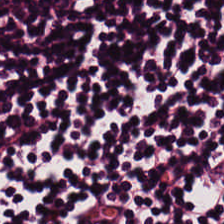H&E-stained tissue section. Finding — lymphoid infiltrate.
